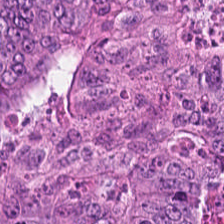H&E stain. Tissue type: colorectal adenocarcinoma.
